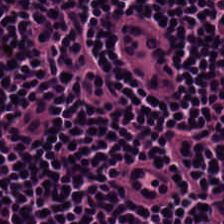H&E. 0.5 µm/px. FFPE tissue section — Showing lymphocyte aggregate.
